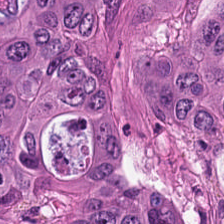The tissue here is colorectal adenocarcinoma.
